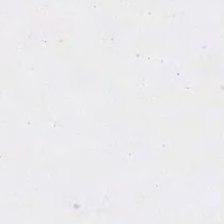Whole-slide-image patch. Hematoxylin-and-eosin stained section — Q: What does this patch show?
A: The field shows no tissue.
